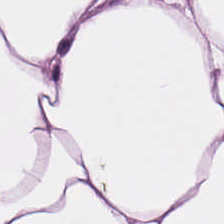FFPE · hematoxylin-and-eosin stained section. Impression → fat tissue.
